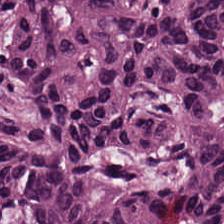Brightfield; H&E stain.
The predominant tissue is adenocarcinoma.
